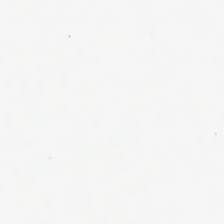H&E stain · formalin-fixed paraffin-embedded section.
Empty field — no tissue.
